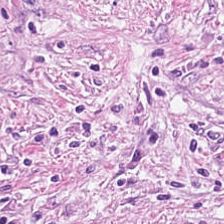Whole-slide-image patch. Hematoxylin-and-eosin stained section.
The tissue here is desmoplastic stroma.
